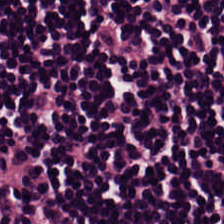H&E. FFPE.
Tissue — lymphocytic infiltrate.
